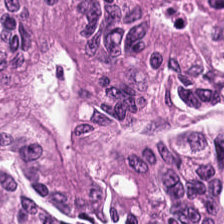224×224 px tile · H&E stain — This field is adenocarcinoma.
